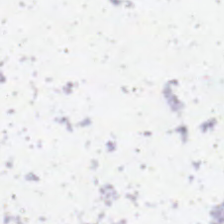Hematoxylin-and-eosin stained section.
Classification = background.
